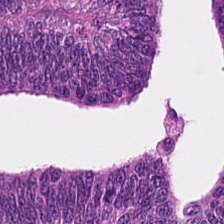Hematoxylin and eosin; 0.5 microns per pixel; FFPE — The predominant tissue is tumor epithelium.
